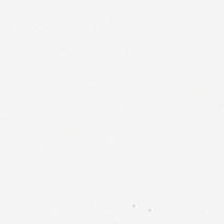Hematoxylin-and-eosin stained section.
Empty field — background (no tissue).
